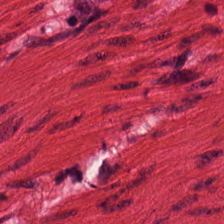Stain: H&E stain.
Preparation: FFPE tissue section.
Tile size: 224×224 pixel tile.
Classification: muscularis.
